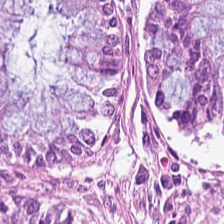Predominant tissue = normal colon mucosa.
